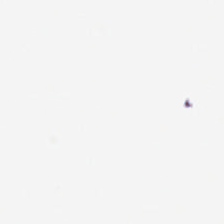Stain: H&E.
Classification: background (no tissue).
